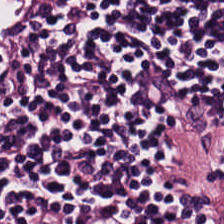Hematoxylin-and-eosin stained section · 224×224 px tile · 0.5 µm per pixel. Q: Identify the tissue.
A: Lymphoid infiltrate.
